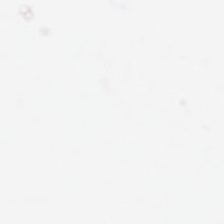H&E-stained tissue section; 20× equivalent magnification; 224×224 pixel tile — Empty field — empty background.
